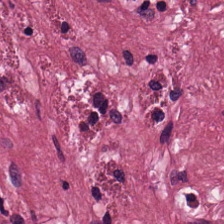The predominant tissue is tumor stroma.
